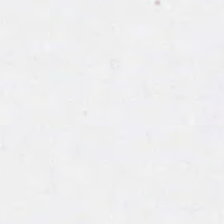Brightfield · H&E.
No tissue present; background only.
